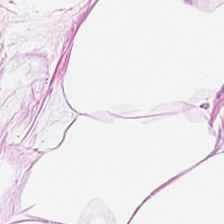224×224 pixel tile; H&E; 0.5 µm/px.
The predominant tissue is adipose.
